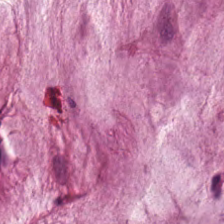H&E stain — {"tissue_type": "mucus"}
